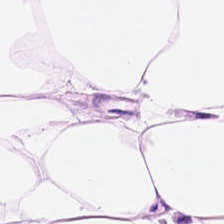H&E-stained section; the field shows fat tissue.
